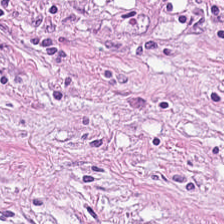Hematoxylin and eosin.
Histology → desmoplastic stroma.
